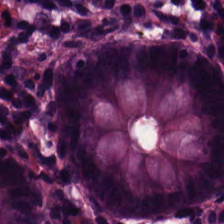0.5 µm per pixel; hematoxylin and eosin — Benign colonic mucosa.
